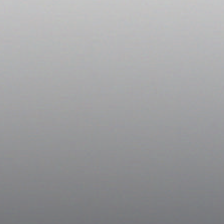224×224 pixel tile; hematoxylin and eosin. Q: What does this patch show?
A: This is empty background.
